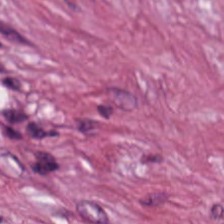The tissue is tumor-associated stroma.
